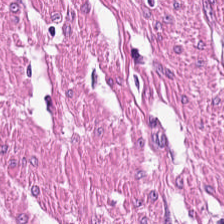H&E.
Impression — smooth muscle.
